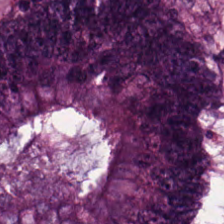H&E; brightfield. Q: What tissue type is shown here?
A: This is colorectal adenocarcinoma.
